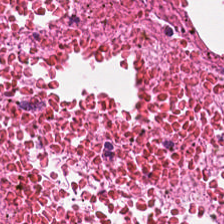H&E stain.
Showing cellular debris.
